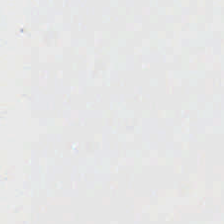Hematoxylin-and-eosin stained section. Q: Classify this patch.
A: Background.
